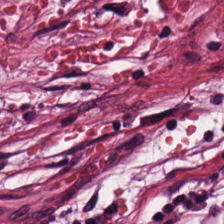H&E · FFPE tissue section · WSI patch. Classification — cancer-associated stroma.
